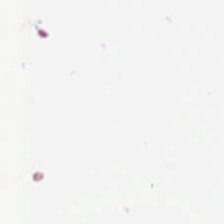H&E-stained tissue section; brightfield. Q: Classify this patch.
A: It is no tissue.
